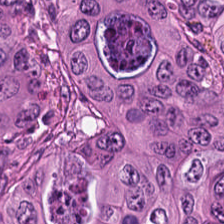Hematoxylin and eosin. 0.5 µm/px. 224×224 px tile. The predominant tissue is colorectal adenocarcinoma.
